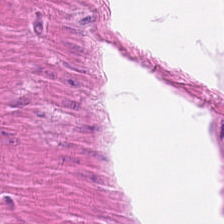Brightfield microscopy · H&E stain · FFPE.
This patch shows smooth-muscle tissue.
